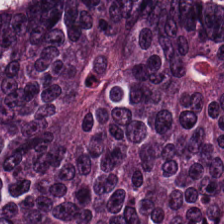Hematoxylin and eosin. Q: What is shown here?
A: It is tumor epithelium.
